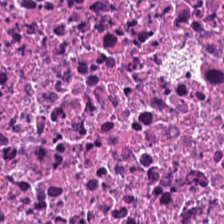H&E — debris.
